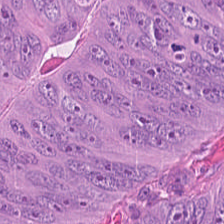Whole-slide-image patch · hematoxylin-and-eosin stained section · 20× equivalent magnification — Showing colorectal adenocarcinoma epithelium.
